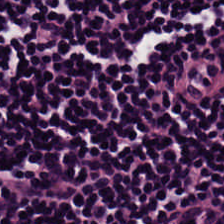This field is lymphocytes.
